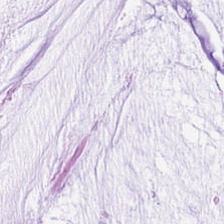Stain: hematoxylin-and-eosin stained section.
Tissue type: mucin.
